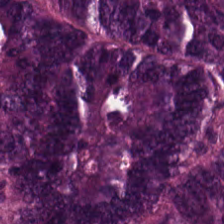FFPE tissue section · hematoxylin-and-eosin stained section.
Tissue class = malignant epithelium.
